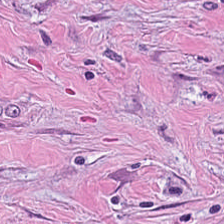Stain: H&E-stained tissue section.
Tissue: cancer-associated stroma.
